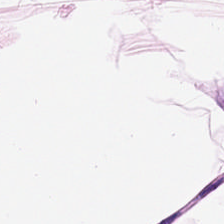224×224 px patch; H&E — Histology → adipose.
